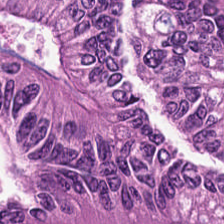Formalin-fixed paraffin-embedded section. H&E — Impression — tumor epithelium.
